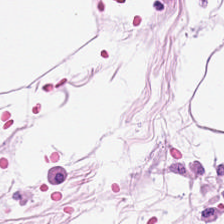H&E-stained tissue section. 224×224 pixel tile. Brightfield — Q: What does this patch show?
A: Fat tissue.
